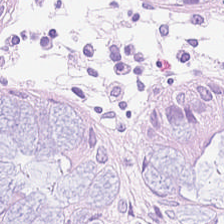Formalin-fixed paraffin-embedded section. H&E stain.
Predominantly normal colon mucosa.
